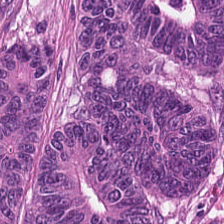H&E — {"tissue_type": "colorectal adenocarcinoma epithelium"}
